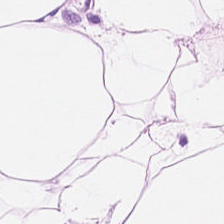Impression → fat tissue.
